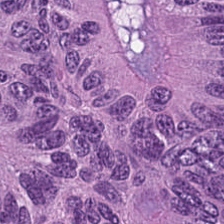Formalin-fixed paraffin-embedded section · 0.5 microns per pixel · H&E.
Q: What is shown in this field?
A: The field shows colorectal adenocarcinoma epithelium.
